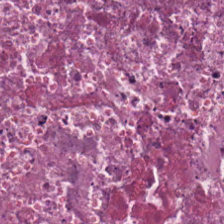Stain: H&E stain.
Acquisition: whole-slide-image patch.
Tissue type: debris.
